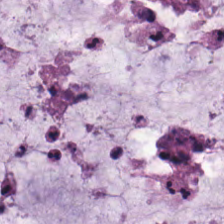H&E stain. {"tissue_type": "mucus"}
